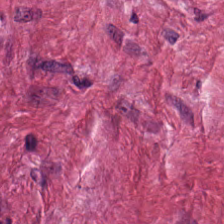Hematoxylin-and-eosin stained section — The tissue here is cancer-associated stroma.
